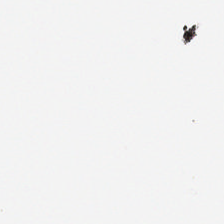Content = no tissue.
